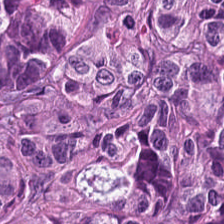The tissue type is malignant epithelium.
